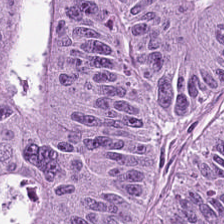Stain: H&E.
Tissue class: malignant epithelium.
